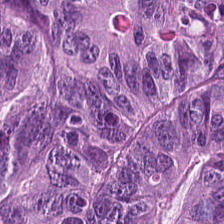Hematoxylin and eosin. Showing colorectal adenocarcinoma.
